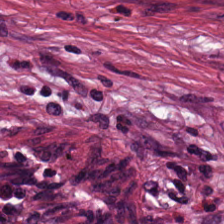The predominant tissue is tumor-associated stroma.
